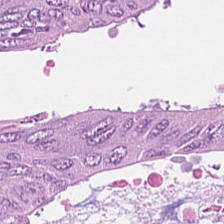Hematoxylin-and-eosin stained section. Predominantly malignant epithelium.
